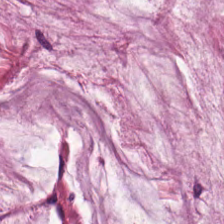H&E-stained tissue section. Tissue class = mucin.
